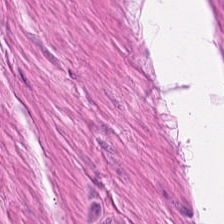FFPE; hematoxylin-and-eosin stained section; 0.5 µm/px. Q: Identify the tissue.
A: It is smooth muscle.
